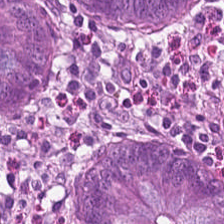224×224 px patch. H&E stain. Formalin-fixed paraffin-embedded section. The predominant tissue is benign colonic mucosa.
